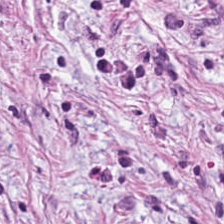Tissue class — cancer-associated stroma.
